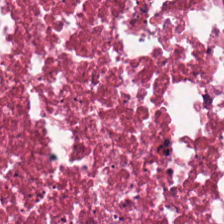H&E stain — Q: Identify the tissue.
A: The field shows necrotic debris.
